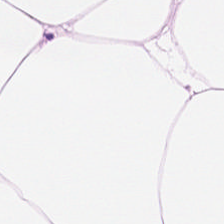This field is adipose.
